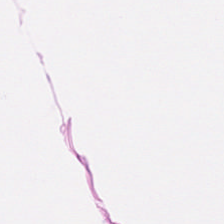H&E stain. Showing smooth muscle.
